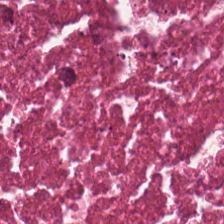Hematoxylin and eosin.
This patch shows necrotic debris.
